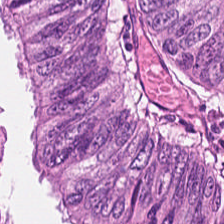Hematoxylin and eosin — Tissue type: malignant epithelium.
